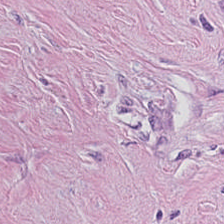Stain: hematoxylin-and-eosin stained section.
Tissue type: cancer-associated stroma.
